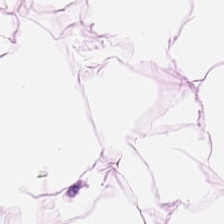Stain: H&E-stained tissue section.
Tissue type: adipocytes.
